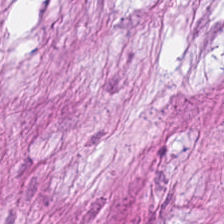Q: Classify this patch.
A: Tumor-associated stroma.
